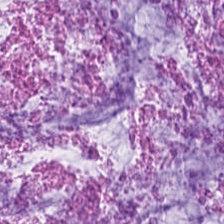Hematoxylin-and-eosin stained section — Impression — mucin.
